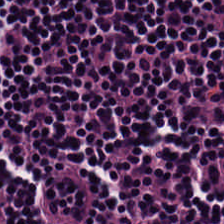H&E stain — Q: What tissue is shown?
A: This is lymphocyte aggregate.
